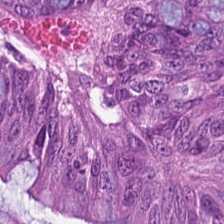H&E patch showing malignant epithelium.
